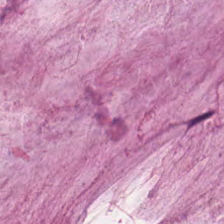Q: What tissue type is shown here?
A: Extracellular mucin.
